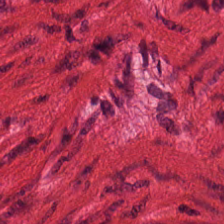Hematoxylin-and-eosin stained section. The predominant tissue is muscularis.
